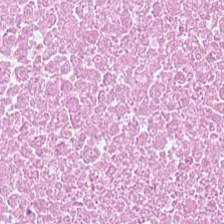Q: Identify the tissue.
A: It is debris.
